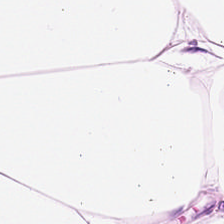H&E stain — Impression — adipocytes.
